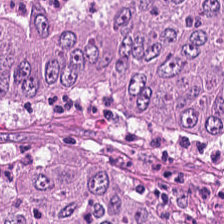Stain: H&E.
Preparation: FFPE tissue section.
Resolution: 0.5 microns per pixel.
Classification: malignant epithelium.
